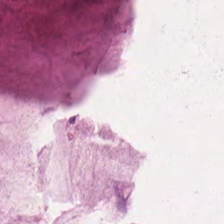H&E stain. Mucus.
